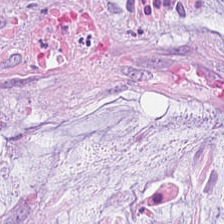0.5 µm/px · hematoxylin and eosin.
Extracellular mucin.
